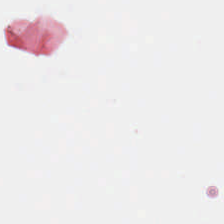0.5 µm/px; H&E-stained tissue section — This patch shows background (no tissue).
